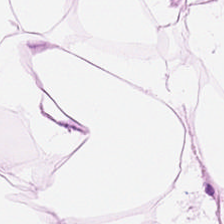Stain: hematoxylin-and-eosin stained section.
Tile size: 224×224 px patch.
Tissue type: fat tissue.
